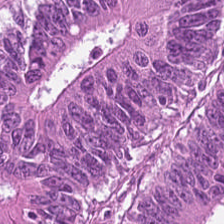WSI patch · hematoxylin and eosin.
{"tissue_type": "tumor epithelium"}
